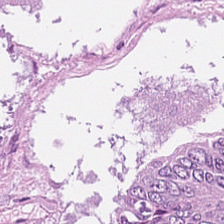20× equivalent magnification · H&E stain.
Histology — adenocarcinoma.
